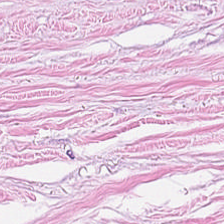H&E-stained tissue section · formalin-fixed paraffin-embedded section — Finding — desmoplastic stroma.
